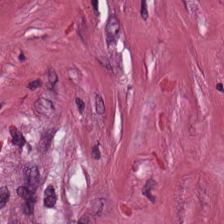Tissue class: tumor stroma.
